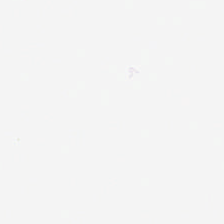Stain: hematoxylin-and-eosin stained section.
Classification: background (no tissue).
